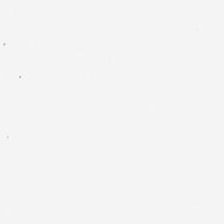Finding → no tissue.
